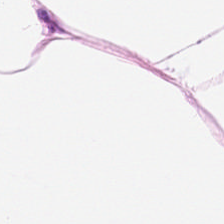Predominantly adipose.
